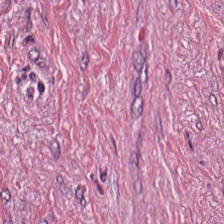Hematoxylin and eosin. WSI patch — This field is cancer-associated stroma.
